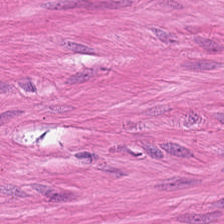H&E.
Q: What type of tissue is this?
A: This is smooth muscle.
